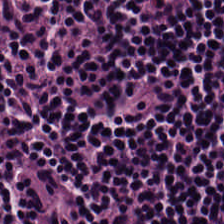Stain: hematoxylin and eosin.
Tissue class: lymphocyte aggregate.
